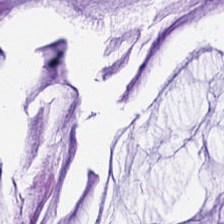Hematoxylin and eosin. {"tissue_type": "mucin"}
